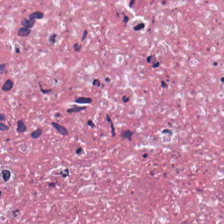H&E-stained tissue section. Formalin-fixed paraffin-embedded section — Tissue type — necrotic debris.
